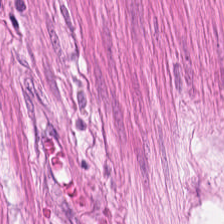H&E stain. 224×224 pixel tile. This patch shows smooth-muscle tissue.
